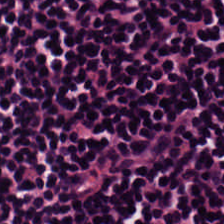224×224 px tile; H&E-stained tissue section.
{"tissue_type": "lymphocyte aggregate"}
